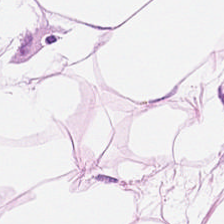H&E. Showing adipose tissue.
